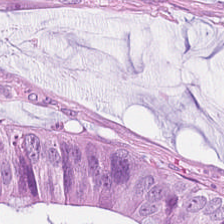H&E stain. Showing adenocarcinoma.
